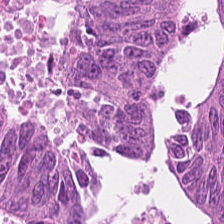H&E stain. 0.5 microns per pixel. 224×224 px patch. Showing colorectal adenocarcinoma epithelium.
